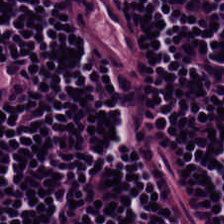Hematoxylin and eosin — The predominant tissue is lymphoid infiltrate.
